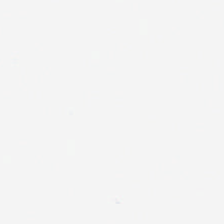H&E — This patch shows empty background.
